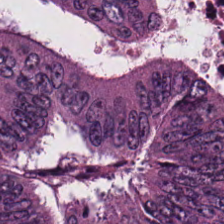FFPE tissue section · hematoxylin and eosin · 20× equivalent magnification.
Classification — colorectal adenocarcinoma epithelium.
